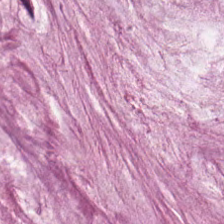Histology → extracellular mucin.
